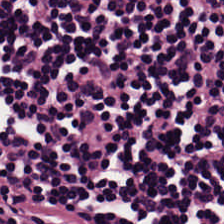H&E stain.
This field is lymphocyte aggregate.
